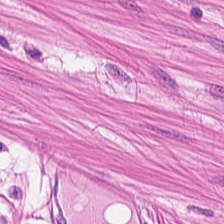Hematoxylin and eosin.
The tissue here is smooth muscle.
